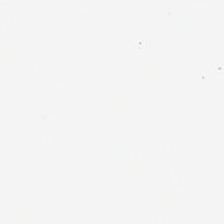Hematoxylin-and-eosin stained section; WSI patch. Q: What is shown here?
A: Background.
